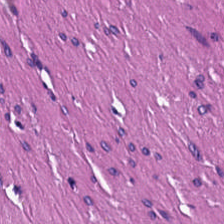Brightfield; hematoxylin-and-eosin stained section. {"tissue_type": "muscularis"}
